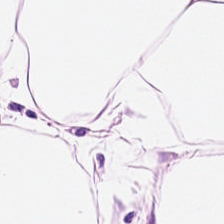Q: What type of tissue is this?
A: The field shows adipocytes.
